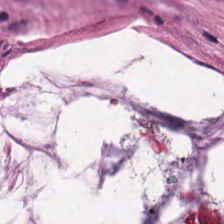{"tissue_type": "mucus"}
